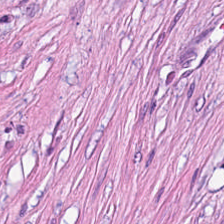Showing tumor-associated stroma.
